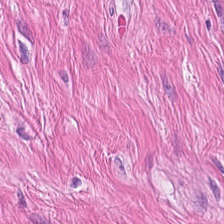Stain: H&E stain.
Tile size: 224×224 pixel tile.
Resolution: 0.5 µm per pixel.
Classification: smooth-muscle tissue.
